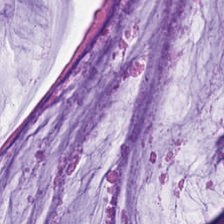H&E stain. Histology → mucus.
